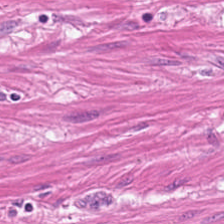H&E-stained tissue section — The predominant tissue is smooth muscle.
